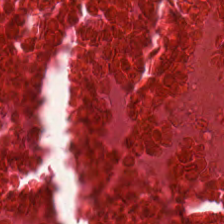H&E-stained tissue section showing necrotic debris.
